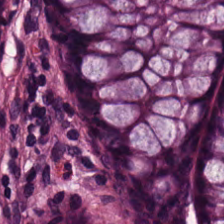Stain: hematoxylin-and-eosin stained section.
Classification: non-neoplastic colon mucosa.
